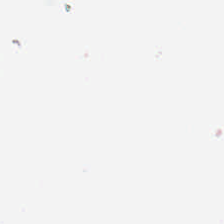Stain: hematoxylin-and-eosin stained section.
Content: no tissue.
